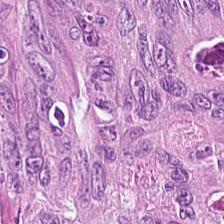Impression — colorectal adenocarcinoma.
